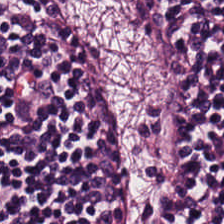This field is lymphocyte aggregate.
